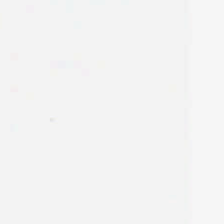H&E stain. 20× equivalent magnification. 224×224 px tile.
No tissue.
